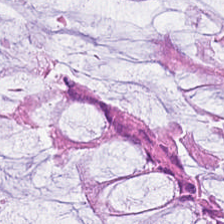Q: What is the predominant tissue type?
A: The field shows benign colonic mucosa.
